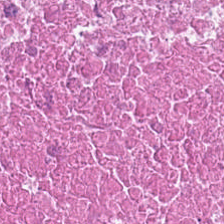The classification is necrotic debris.
